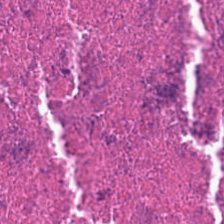Tissue type = necrotic debris.
